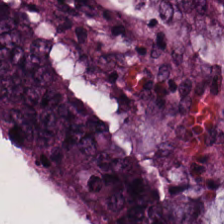H&E stain. The tissue here is adenocarcinoma.
